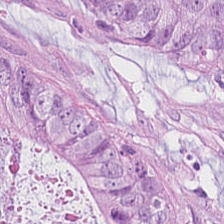Hematoxylin-and-eosin stained section — This patch shows colorectal adenocarcinoma.
